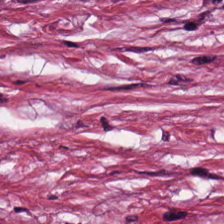20× equivalent magnification · H&E-stained tissue section. Tissue class: desmoplastic stroma.
